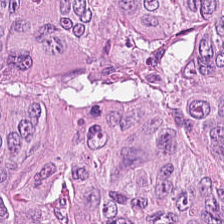0.5 µm/px · H&E · FFPE tissue section.
{"tissue_type": "colorectal adenocarcinoma"}
